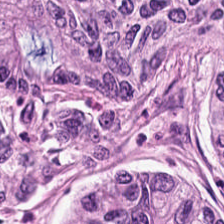H&E stain. FFPE. {"tissue_type": "colorectal adenocarcinoma epithelium"}
